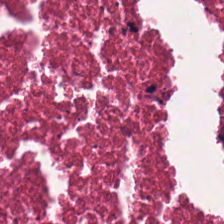Hematoxylin and eosin — Tissue — debris.
